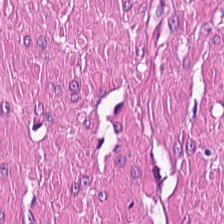Stain: hematoxylin-and-eosin stained section.
Tile size: 224×224 px tile.
Preparation: FFPE.
Tissue class: smooth muscle.
